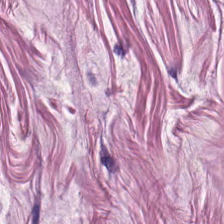Stain: H&E-stained tissue section.
Tissue class: muscularis.
